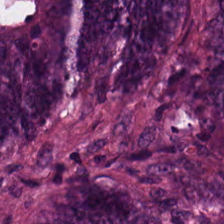20× equivalent magnification. H&E stain.
Adenocarcinoma.
